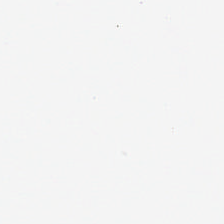Hematoxylin and eosin. WSI patch. 0.5 µm/px — Classification = background.
